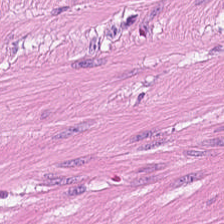Whole-slide-image patch; FFPE; hematoxylin-and-eosin stained section — Impression — smooth-muscle tissue.
